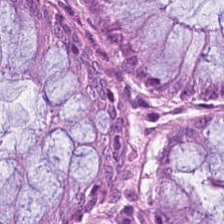H&E. Benign colonic mucosa.
